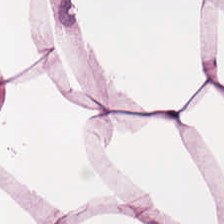Finding → fat tissue.
